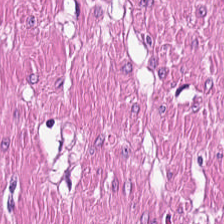H&E-stained tissue section.
This field is smooth-muscle tissue.
